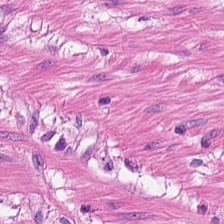Q: What is shown in this field?
A: It is smooth-muscle tissue.
